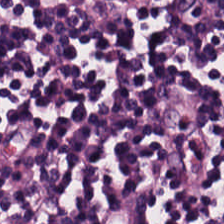{"tissue_type": "lymphoid infiltrate"}
